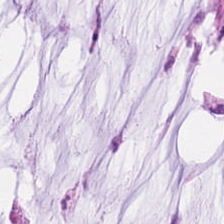H&E-stained tissue section.
Tissue = extracellular mucin.
